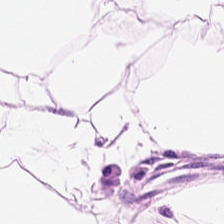Q: Identify the tissue.
A: The field shows fat tissue.
